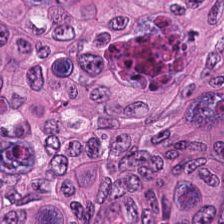0.5 microns per pixel · H&E stain.
Q: What is shown here?
A: It is colorectal adenocarcinoma epithelium.
